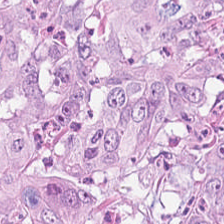Stain: hematoxylin-and-eosin stained section.
Tile size: 224×224 pixel tile.
Acquisition: whole-slide-image patch.
Tissue type: malignant epithelium.
